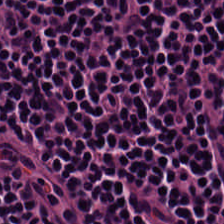20× equivalent magnification. Hematoxylin and eosin. Predominantly lymphocytes.
